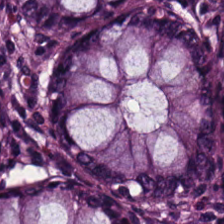Hematoxylin-and-eosin stained section.
Showing normal colon mucosa.
